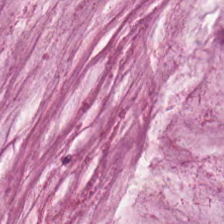H&E-stained section; the field shows mucus.
